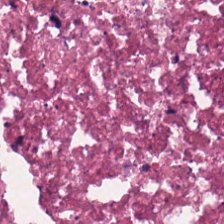H&E-stained tissue section.
Tissue: necrotic debris.
